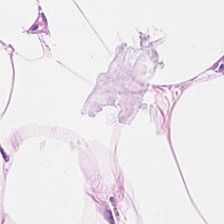FFPE tissue section; H&E-stained tissue section.
Predominant tissue = adipose.
